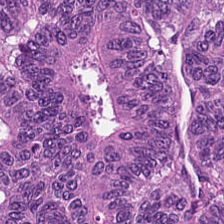FFPE · H&E. The classification is malignant epithelium.
